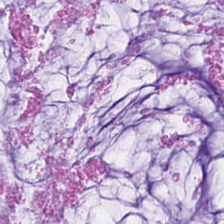Classification: mucus.
